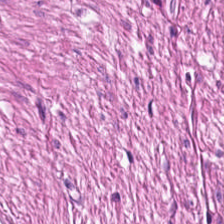Q: Identify the tissue.
A: Smooth muscle.
